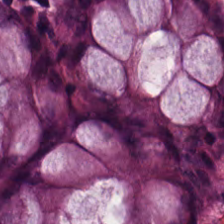H&E stain. Brightfield. Predominantly non-neoplastic colon mucosa.
